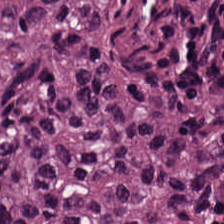FFPE. Hematoxylin-and-eosin stained section — Predominantly colorectal adenocarcinoma epithelium.
